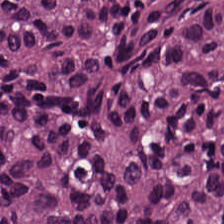Tissue: malignant epithelium.
